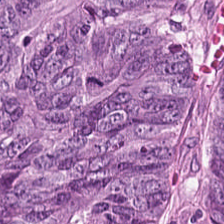Hematoxylin-and-eosin stained section.
This field is malignant epithelium.
